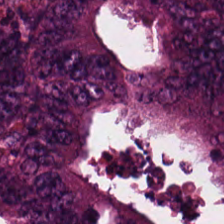Tissue: colorectal adenocarcinoma epithelium.
